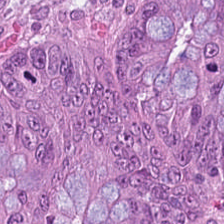Impression → malignant epithelium.
